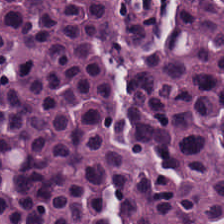0.5 µm/px; H&E.
Histology — lymphocytes.
